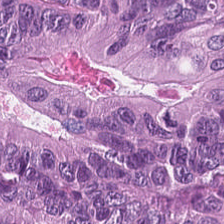H&E stain · FFPE tissue section.
Q: What tissue type is shown here?
A: The field shows malignant epithelium.
